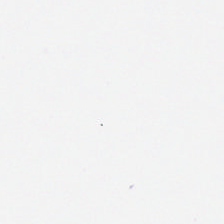WSI patch. Hematoxylin-and-eosin stained section.
Histology — background (no tissue).
